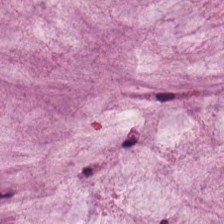Predominantly mucus.
